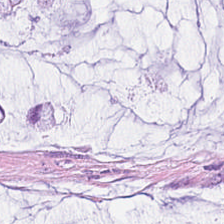Hematoxylin-and-eosin section: mucin.
